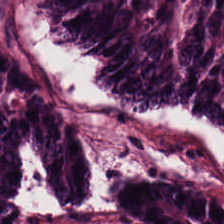Hematoxylin and eosin — Tumor epithelium.
